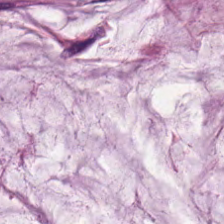H&E-stained tissue section — This patch shows mucus.
